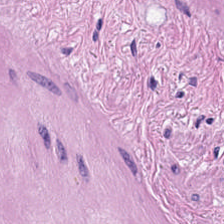Hematoxylin and eosin; FFPE tissue section.
This patch shows muscularis.
